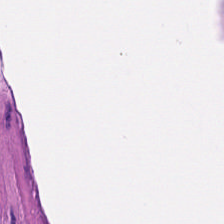Whole-slide-image patch; 224×224 px tile; H&E — Tissue = muscularis.
